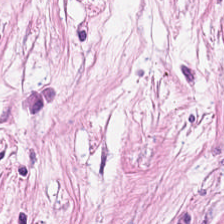H&E-stained tissue section — Q: What is shown here?
A: This is tumor-associated stroma.
